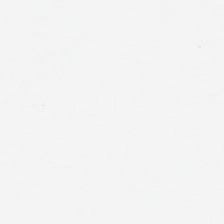Finding → background.
